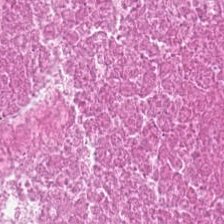H&E-stained tissue section. Whole-slide-image patch — The tissue here is necrotic debris.
